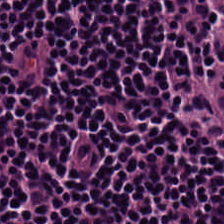Tissue type — lymphocytes.
